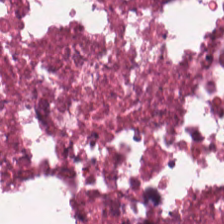Brightfield. Hematoxylin-and-eosin stained section. Formalin-fixed paraffin-embedded section — Q: What tissue is shown?
A: It is cellular debris.
